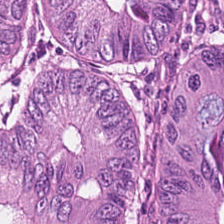Hematoxylin and eosin — Predominant tissue = colorectal adenocarcinoma.
